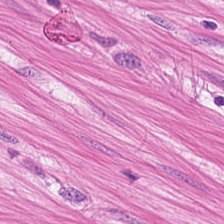H&E.
Impression — smooth muscle.
